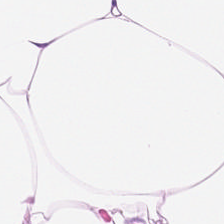Q: What is shown here?
A: It is adipose.
